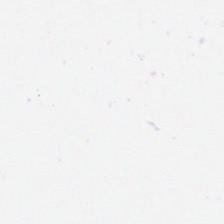Brightfield microscopy; 224×224 pixel tile; hematoxylin and eosin.
The classification is no tissue.
